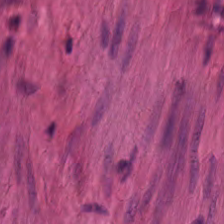224×224 pixel tile. H&E stain. WSI patch. The tissue class is smooth-muscle tissue.
